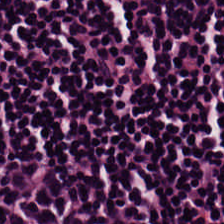20× equivalent magnification · H&E stain. Predominantly lymphoid infiltrate.
